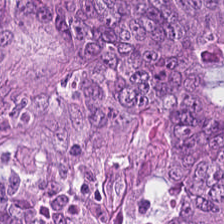H&E stain. Q: What does this patch show?
A: This is tumor epithelium.
